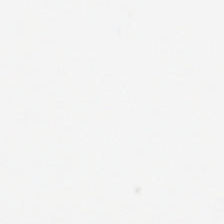H&E stain.
Field content = background.
